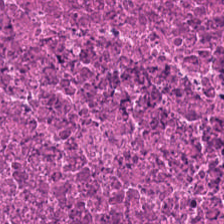H&E stain. Q: Identify the tissue.
A: Debris.
